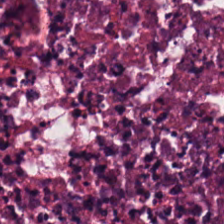The classification is cellular debris.
